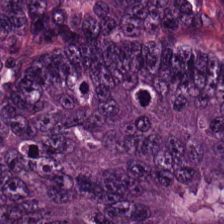Stain: hematoxylin-and-eosin stained section.
Tissue class: tumor epithelium.
